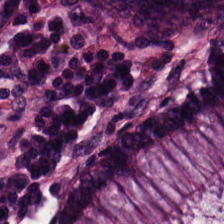Brightfield · H&E-stained tissue section.
Showing normal colon mucosa.
